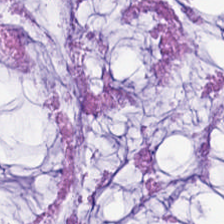Classification = mucus.
